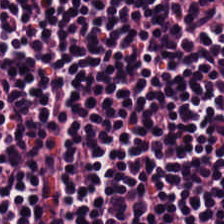Stain: hematoxylin-and-eosin stained section.
Predominant tissue: lymphoid infiltrate.
